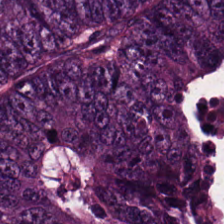Showing adenocarcinoma.
